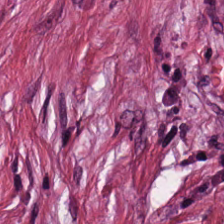This field is cancer-associated stroma.
